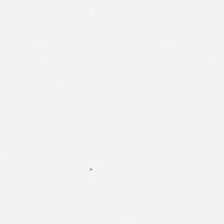H&E — This field is background (no tissue).
